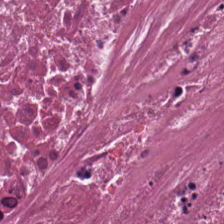H&E stain. The classification is necrotic debris.
